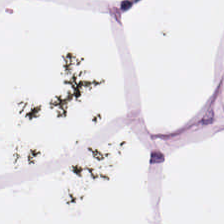H&E. Finding — fat tissue.
